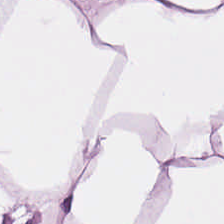Stain: H&E.
Acquisition: brightfield.
Tissue type: adipose.
